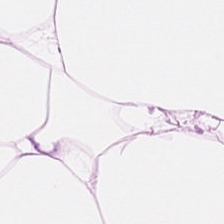Hematoxylin and eosin.
Finding → adipose.
